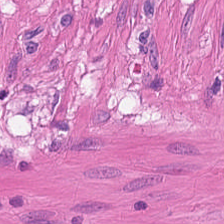FFPE. H&E — Q: What type of tissue is this?
A: The field shows smooth-muscle tissue.
